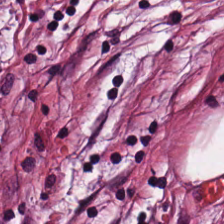H&E-stained tissue section — Q: What is shown here?
A: It is tumor-associated stroma.
